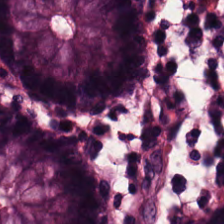H&E-stained tissue section.
Q: What does this patch show?
A: Non-neoplastic colon mucosa.
